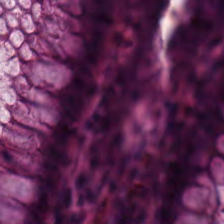H&E. The tissue is normal colonic mucosa.
